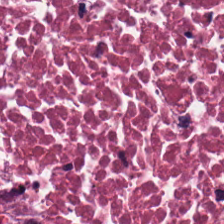Hematoxylin-and-eosin stained section.
{"tissue_type": "cellular debris"}
